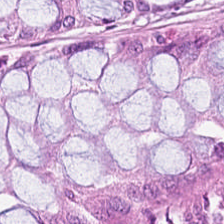The tissue here is benign colonic mucosa.
